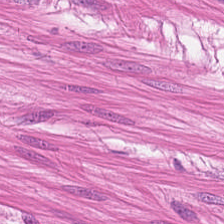0.5 µm per pixel · hematoxylin-and-eosin stained section. This patch shows muscularis.
